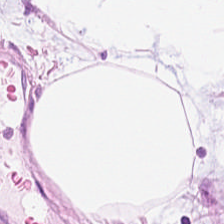Hematoxylin-and-eosin stained section — Adipose.
